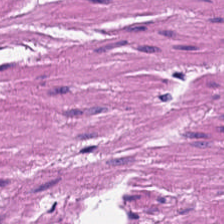H&E. Formalin-fixed paraffin-embedded section — Predominantly smooth-muscle tissue.
